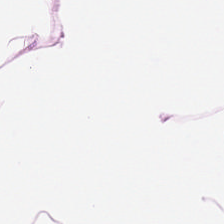224×224 px patch. H&E stain. FFPE tissue section. Finding — adipocytes.
